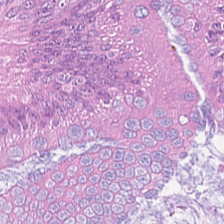Brightfield; H&E stain.
The classification is tumor epithelium.
